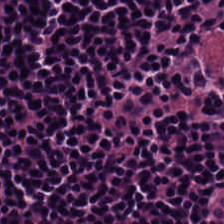H&E-stained tissue section. WSI patch. Formalin-fixed paraffin-embedded section.
Classification — lymphoid infiltrate.
